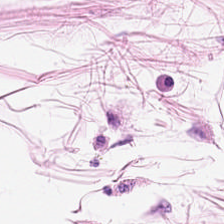H&E. The tissue type is adipose tissue.
